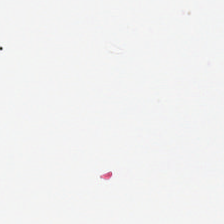H&E stain · 0.5 µm per pixel — The classification is background (no tissue).
